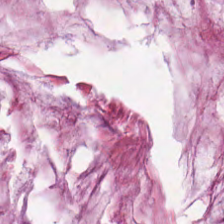H&E — mucin.
